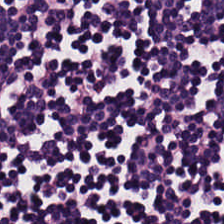Hematoxylin-and-eosin stained section. {"tissue_type": "lymphocyte aggregate"}
